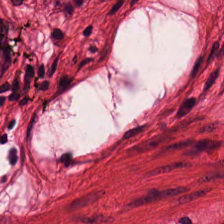H&E-stained tissue section. Predominantly smooth-muscle tissue.
